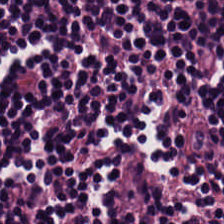224×224 pixel tile · hematoxylin and eosin — Q: What tissue type is shown here?
A: Lymphocytes.
